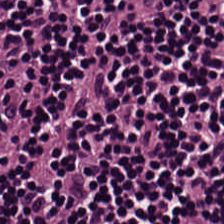The predominant tissue is lymphocytes.
